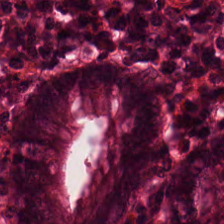H&E stain — The tissue here is normal colon mucosa.
